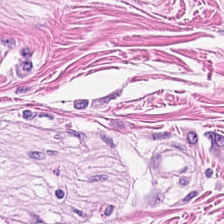Hematoxylin-and-eosin stained section. Predominantly muscularis.
